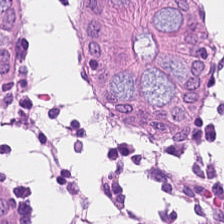224×224 pixel tile. Hematoxylin and eosin. 0.5 µm per pixel. This patch shows normal colonic mucosa.
